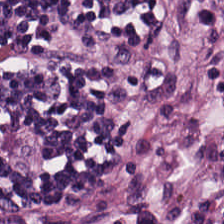Brightfield; hematoxylin and eosin. This patch shows lymphocytic infiltrate.
